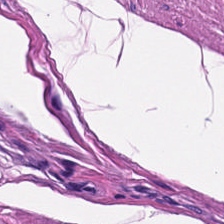H&E. Q: What tissue is shown?
A: It is smooth muscle.
